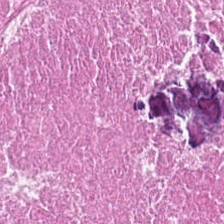Stain: H&E stain.
Acquisition: whole-slide-image patch.
Tile size: 224×224 px patch.
Tissue: debris.
